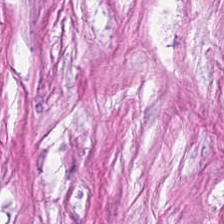H&E stain. Tissue class: tumor-associated stroma.
